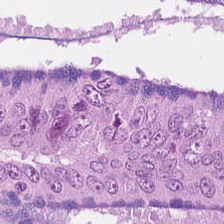H&E-stained tissue section. Showing colorectal adenocarcinoma epithelium.
